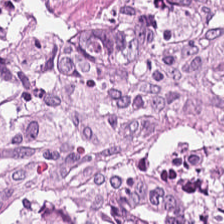Hematoxylin and eosin · formalin-fixed paraffin-embedded section.
Impression → desmoplastic stroma.
